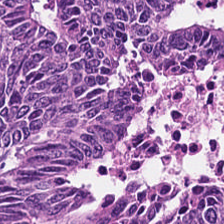0.5 µm per pixel · H&E-stained tissue section · WSI patch.
Classification = malignant epithelium.
